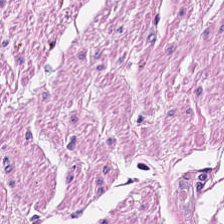H&E stain; 224×224 px patch. Tissue class: smooth muscle.
